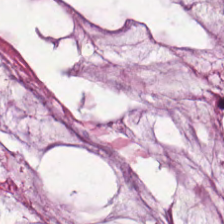Hematoxylin-and-eosin stained section; 0.5 µm per pixel — This field is extracellular mucin.
